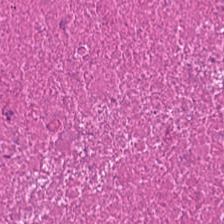H&E stain — Q: Identify the tissue.
A: The field shows cellular debris.
